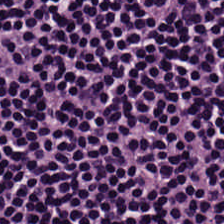Hematoxylin-and-eosin stained section · FFPE tissue section · 20× equivalent magnification.
Showing lymphoid infiltrate.
